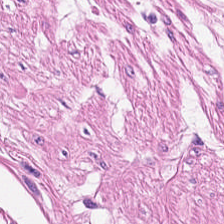H&E. FFPE tissue section. This patch shows smooth-muscle tissue.
